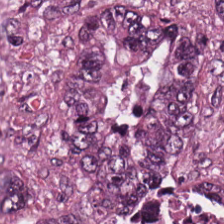H&E stain.
Tissue class: colorectal adenocarcinoma.
